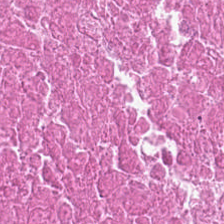H&E stain; whole-slide-image patch; 20× equivalent magnification. Q: What type of tissue is this?
A: Necrotic debris.
